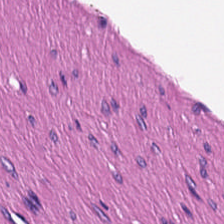Hematoxylin-and-eosin stained section; 0.5 microns per pixel.
Showing smooth-muscle tissue.
